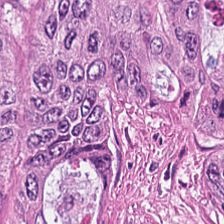FFPE; H&E stain — Q: What tissue type is shown here?
A: This is colorectal adenocarcinoma epithelium.
